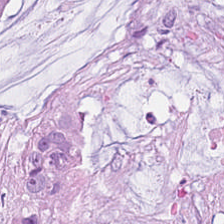Stain: H&E-stained tissue section.
Tissue type: mucin.
